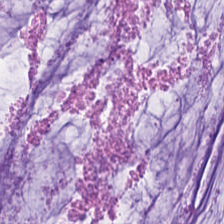H&E. WSI patch — Q: Classify this patch.
A: It is mucin.
